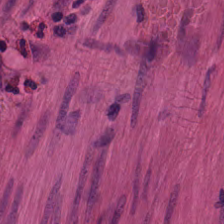The tissue class is muscularis.
